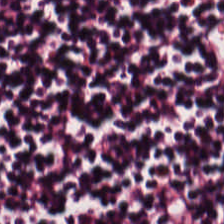Classification — lymphoid infiltrate.
